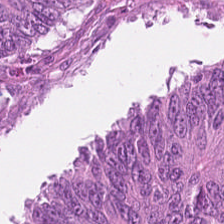Hematoxylin and eosin · 224×224 px tile. Histology — adenocarcinoma.
